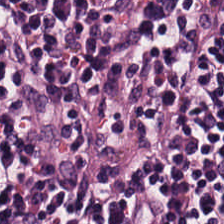Hematoxylin and eosin. 224×224 pixel tile. 0.5 microns per pixel. Q: What is the predominant tissue type?
A: The field shows lymphoid infiltrate.
